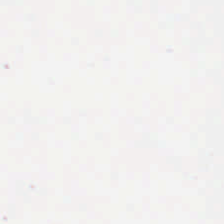Field content: no tissue.
